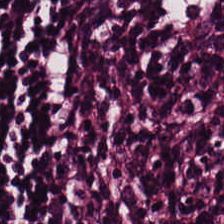H&E — Tissue class = lymphocytes.
